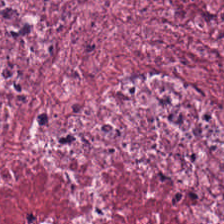Hematoxylin and eosin. 0.5 µm per pixel.
Predominantly cancer-associated stroma.
